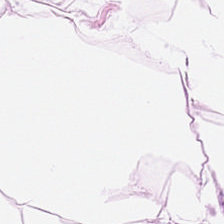H&E-stained tissue section showing adipocytes.
